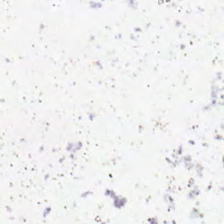Content = no tissue.
